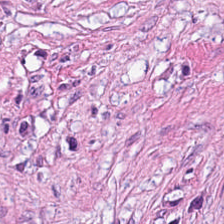Hematoxylin-and-eosin section: tumor-associated stroma.
